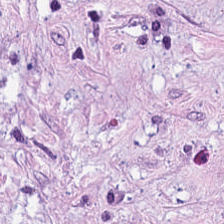H&E. WSI patch — Predominantly desmoplastic stroma.
